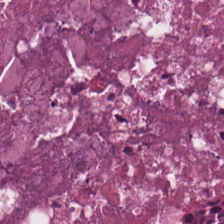Hematoxylin and eosin.
Predominantly debris.
